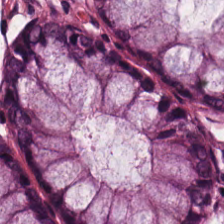Stain: hematoxylin-and-eosin stained section.
Acquisition: WSI patch.
Preparation: FFPE tissue section.
Tissue type: non-neoplastic colon mucosa.
